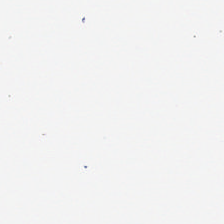H&E-stained tissue section.
Classification = background.
